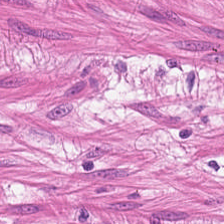H&E-stained tissue section — Smooth-muscle tissue.
